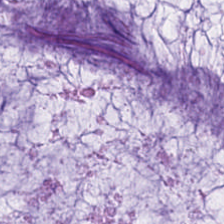Tissue class — extracellular mucin.
